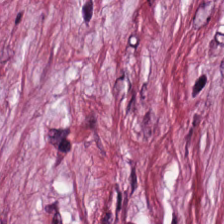H&E; brightfield. Tumor stroma.
